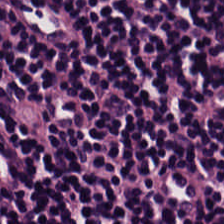Hematoxylin-and-eosin section: lymphocytic infiltrate.
